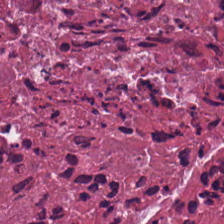224×224 px tile; 0.5 µm per pixel; H&E-stained tissue section.
Q: What type of tissue is this?
A: This is cellular debris.
